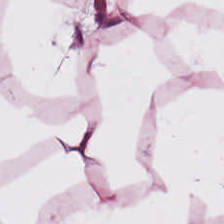H&E-stained tissue section — Showing fat tissue.
